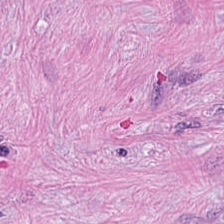H&E-stained tissue section.
Tissue — desmoplastic stroma.
